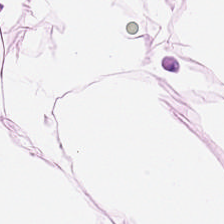H&E. Q: What is shown here?
A: The field shows adipose.
